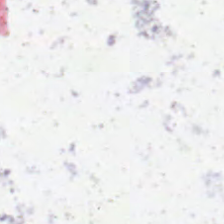Stain: H&E-stained tissue section.
Preparation: formalin-fixed paraffin-embedded section.
Content: no tissue.
